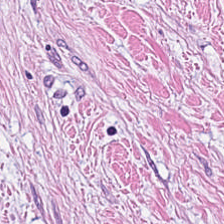Hematoxylin and eosin · formalin-fixed paraffin-embedded section — Tumor-associated stroma.
